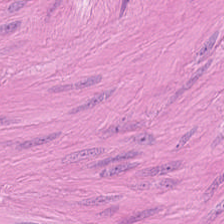Stain: hematoxylin and eosin.
Predominant tissue: smooth muscle.
